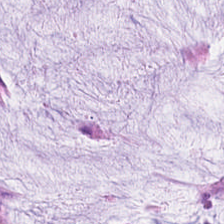Q: What tissue type is shown here?
A: It is extracellular mucin.
